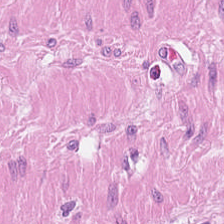H&E-stained tissue section. Tissue: smooth-muscle tissue.
